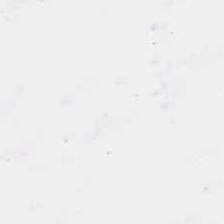Hematoxylin and eosin. No tissue present; background only.
